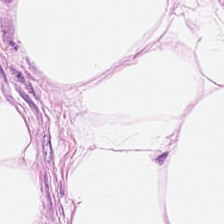Showing adipose tissue.
